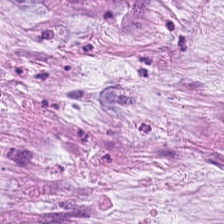Hematoxylin-and-eosin stained section.
Impression → extracellular mucin.
